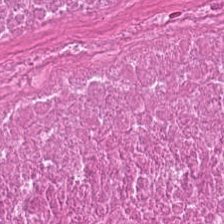{"tissue_type": "necrotic debris"}
